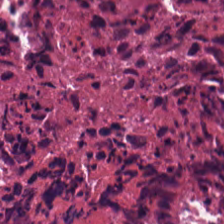WSI patch · H&E stain.
Impression — debris.
